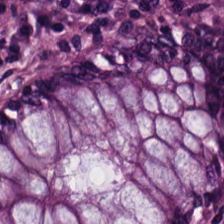224×224 px patch. H&E-stained tissue section. FFPE. {"tissue_type": "non-neoplastic colon mucosa"}
